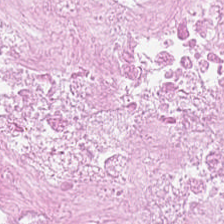Stain: H&E-stained tissue section.
Predominant tissue: cellular debris.
